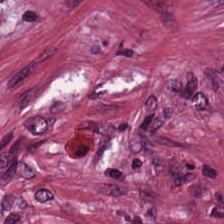H&E. Q: What is shown here?
A: Tumor-associated stroma.
